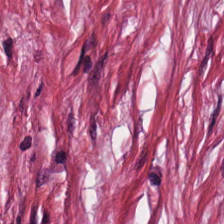Stain: H&E-stained tissue section.
Predominant tissue: tumor-associated stroma.
